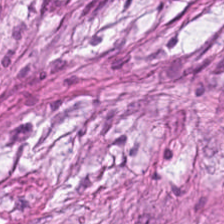Classification = cancer-associated stroma.
